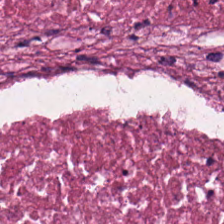Stain: hematoxylin and eosin.
Classification: cellular debris.
